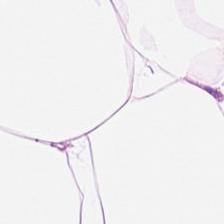Brightfield. Hematoxylin and eosin.
Showing adipose tissue.
